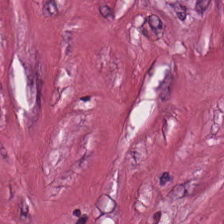H&E stain. This patch shows tumor-associated stroma.
